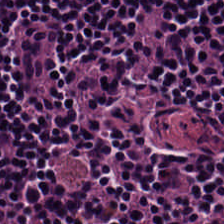224×224 px tile. Hematoxylin and eosin. FFPE tissue section. This field is lymphocyte aggregate.
